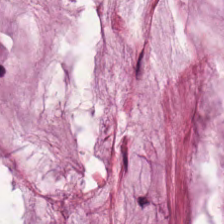FFPE; H&E; 224×224 pixel tile. Q: What is the predominant tissue type?
A: Mucin.
